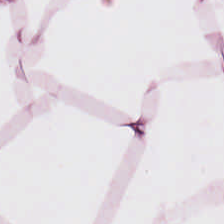H&E-stained tissue section — Predominantly adipose.
